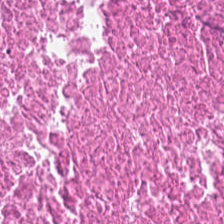Tissue type = debris.
